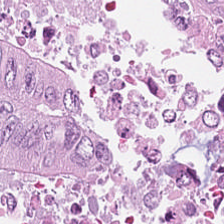The tissue class is colorectal adenocarcinoma epithelium.
